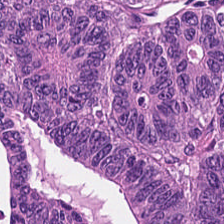Stain: H&E stain.
Acquisition: whole-slide-image patch.
Resolution: 20× equivalent magnification.
Classification: colorectal adenocarcinoma.
